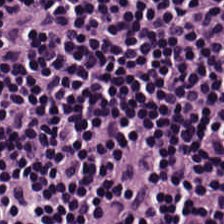Showing lymphoid infiltrate.
